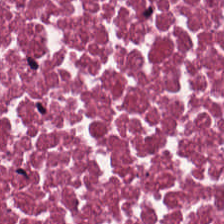H&E-stained section; the field shows necrotic debris.
